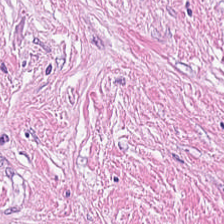Stain: hematoxylin-and-eosin stained section.
Tile size: 224×224 pixel tile.
Tissue: tumor-associated stroma.
